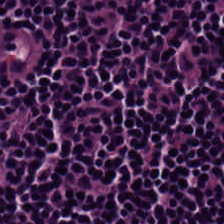Whole-slide-image patch; H&E stain.
Impression — lymphoid infiltrate.
